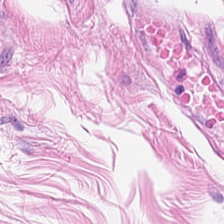FFPE. Hematoxylin and eosin — Predominant tissue — muscularis.
